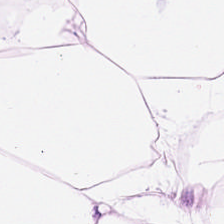Stain: H&E stain.
Tile size: 224×224 px tile.
Predominant tissue: adipose tissue.
